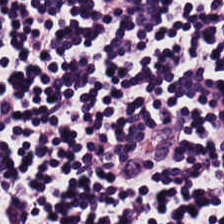Hematoxylin-and-eosin stained section.
Tissue class = lymphocytic infiltrate.
